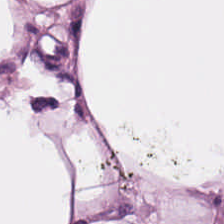H&E.
The predominant tissue is adipose tissue.
